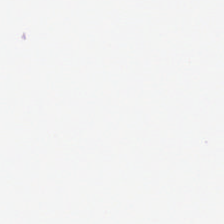H&E. 0.5 µm per pixel.
This patch shows background (no tissue).
